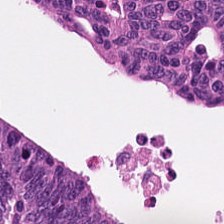H&E stain — Impression → colorectal adenocarcinoma.
